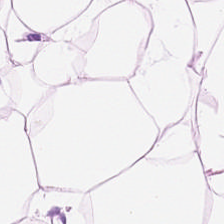Stain: H&E stain.
Preparation: formalin-fixed paraffin-embedded section.
Acquisition: whole-slide-image patch.
Tissue class: adipocytes.
